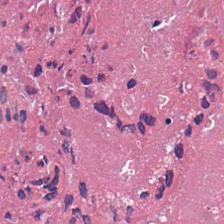FFPE tissue section · 0.5 microns per pixel · H&E-stained tissue section.
This field is cellular debris.
